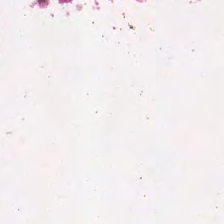FFPE; hematoxylin and eosin.
Necrotic debris.
